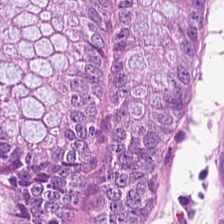H&E — Benign colonic mucosa.
